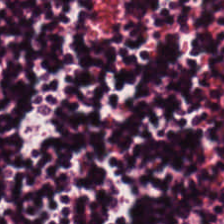H&E stain.
{"tissue_type": "lymphocytic infiltrate"}
